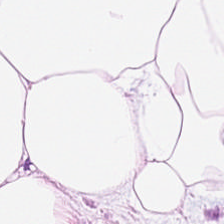H&E-stained tissue section. This patch shows adipose.
